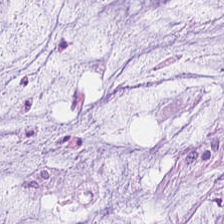Hematoxylin and eosin.
The classification is mucus.
